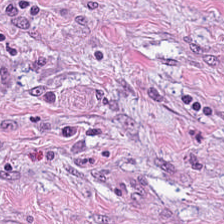Finding → tumor stroma.
